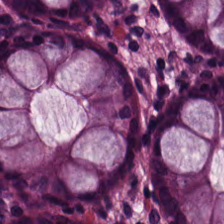Hematoxylin and eosin.
This field is normal colon mucosa.
